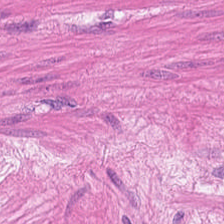H&E.
The tissue here is muscularis.
